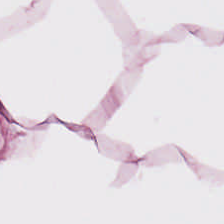Whole-slide-image patch; FFPE; H&E.
The tissue type is adipose tissue.
